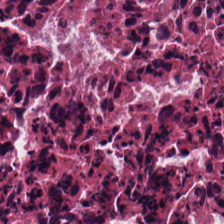Stain: H&E-stained tissue section.
Classification: debris.
